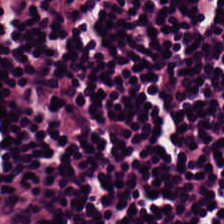H&E.
Lymphocyte aggregate.
